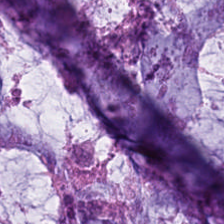Hematoxylin and eosin — Q: Identify the tissue.
A: It is mucus.
